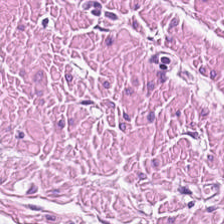H&E — Predominantly smooth muscle.
